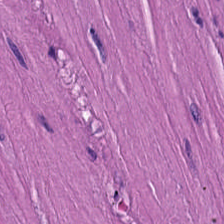Hematoxylin-and-eosin stained section — Q: What is shown in this field?
A: Muscularis.
